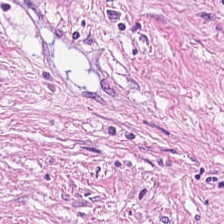The predominant tissue is tumor-associated stroma.
